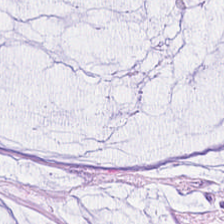Hematoxylin and eosin. The predominant tissue is extracellular mucin.
